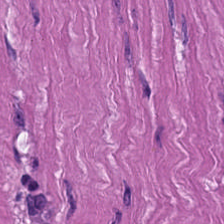Hematoxylin and eosin; FFPE tissue section; 20× equivalent magnification. Q: What does this patch show?
A: It is muscularis.
